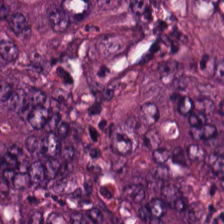Brightfield microscopy; FFPE tissue section; H&E-stained tissue section.
Q: What tissue type is shown here?
A: It is colorectal adenocarcinoma epithelium.
